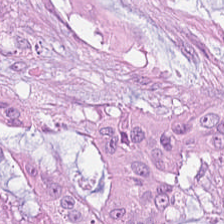Classification — adenocarcinoma.
